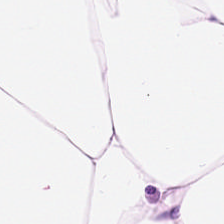FFPE; 0.5 µm per pixel; hematoxylin-and-eosin stained section. This patch shows adipose tissue.
